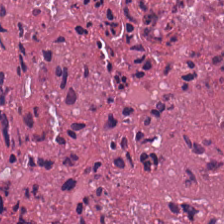WSI patch. 224×224 px patch. Hematoxylin and eosin.
This patch shows necrotic debris.
